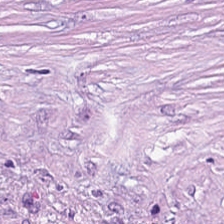H&E. Brightfield — Finding → tumor-associated stroma.
